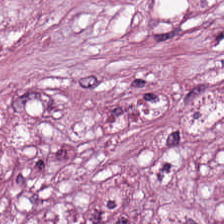Predominantly desmoplastic stroma.
